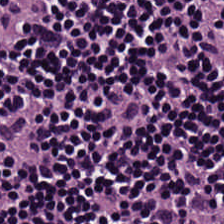Brightfield · hematoxylin-and-eosin stained section.
Histology — lymphocytic infiltrate.
